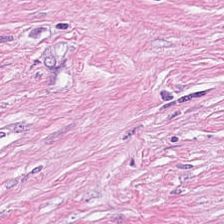H&E. Tissue = cancer-associated stroma.
